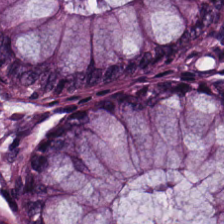Hematoxylin-and-eosin stained section. Classification = normal colonic mucosa.
